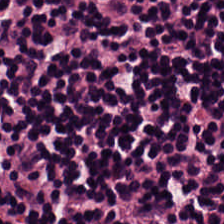Hematoxylin-and-eosin stained section.
Predominant tissue = lymphocytic infiltrate.
